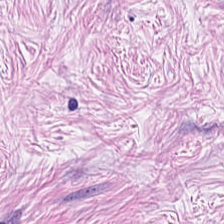Hematoxylin-and-eosin section: desmoplastic stroma.
